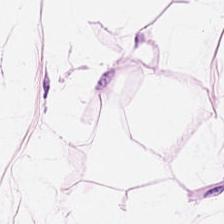H&E. The predominant tissue is adipose.
